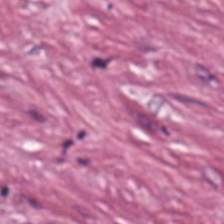Stain: H&E-stained tissue section.
Tissue: desmoplastic stroma.
